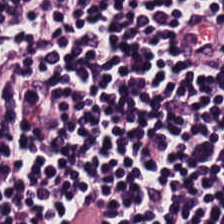Q: What does this patch show?
A: It is lymphocytic infiltrate.
